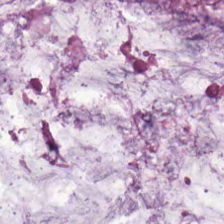H&E. The predominant tissue is mucin.
